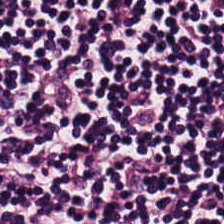Formalin-fixed paraffin-embedded section · hematoxylin and eosin. The tissue here is lymphocyte aggregate.
